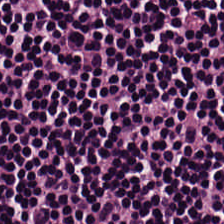Stain: H&E-stained tissue section.
Tissue: lymphocyte aggregate.
